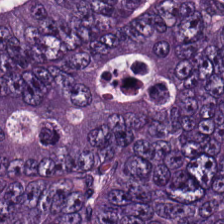The tissue here is tumor epithelium.
